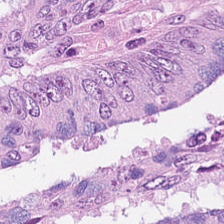H&E-stained tissue section showing adenocarcinoma.
